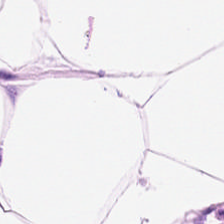H&E. Whole-slide-image patch.
Tissue type: fat tissue.
